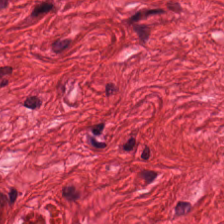224×224 px tile. H&E-stained tissue section — Showing smooth-muscle tissue.
